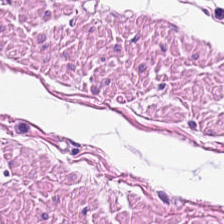Histology — smooth muscle.
